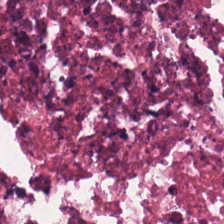H&E stain.
The tissue here is cellular debris.
